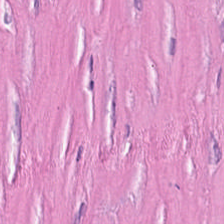Stain: H&E.
Tile size: 224×224 pixel tile.
Tissue class: cancer-associated stroma.
